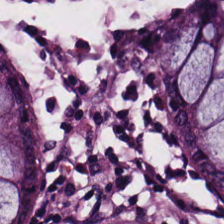Predominant tissue = normal colonic mucosa.
